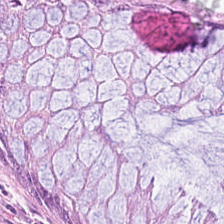H&E stain.
This field is benign colonic mucosa.
